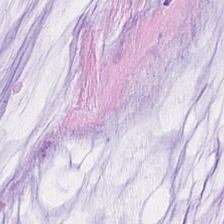Q: What tissue type is shown here?
A: Extracellular mucin.
